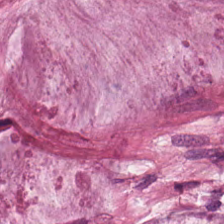0.5 microns per pixel · H&E · FFPE — The tissue here is mucin.
